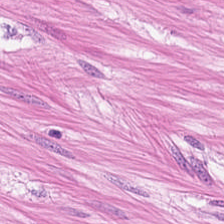H&E. Formalin-fixed paraffin-embedded section. Tissue: smooth-muscle tissue.
